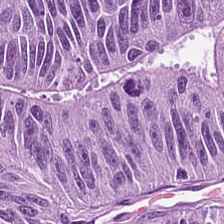Hematoxylin and eosin — Impression — colorectal adenocarcinoma.
